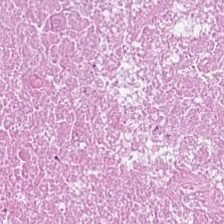H&E-stained tissue section.
The tissue type is necrotic debris.
